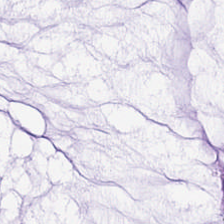H&E-stained tissue section.
Showing extracellular mucin.
